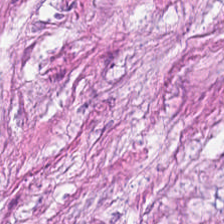H&E; FFPE. Finding → tumor-associated stroma.
